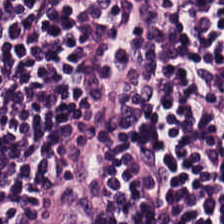H&E-stained tissue section. Impression → lymphocyte aggregate.
